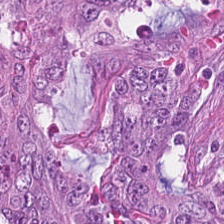Tissue class = colorectal adenocarcinoma.
